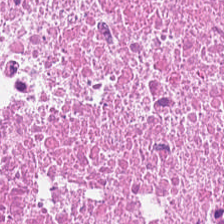H&E; 224×224 px patch; 20× equivalent magnification — This patch shows cellular debris.
